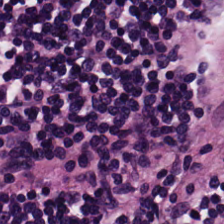Stain: hematoxylin-and-eosin stained section.
Tissue class: lymphocyte aggregate.
